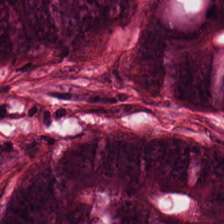Predominant tissue: colorectal adenocarcinoma.
